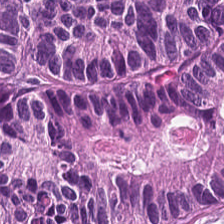Hematoxylin-and-eosin stained section — The predominant tissue is tumor epithelium.
